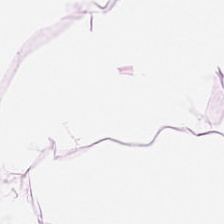Tissue class — adipose tissue.
